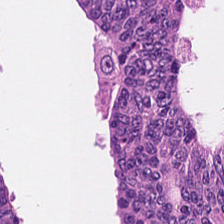Stain: hematoxylin-and-eosin stained section.
Tissue: adenocarcinoma.
